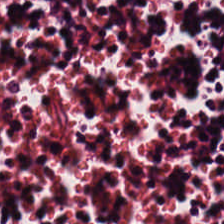H&E; FFPE.
Classification = lymphocyte aggregate.
